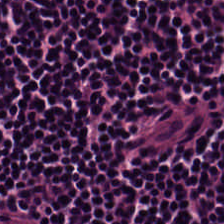WSI patch; H&E.
This patch shows lymphocytes.
